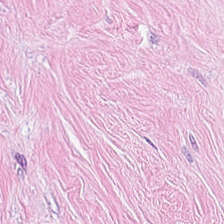H&E. Q: What does this patch show?
A: The field shows tumor stroma.
